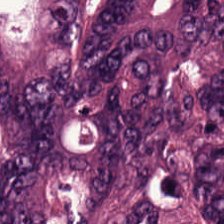20× equivalent magnification. WSI patch. H&E — Showing adenocarcinoma.
